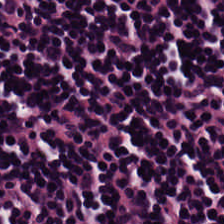Whole-slide-image patch · hematoxylin-and-eosin stained section · 0.5 microns per pixel.
Q: What is the predominant tissue type?
A: Lymphocytes.
